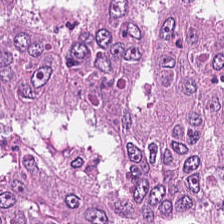H&E; 224×224 px tile; FFPE tissue section.
This patch shows colorectal adenocarcinoma epithelium.
